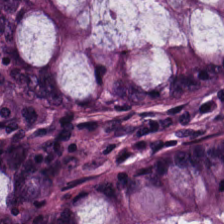Q: What is shown here?
A: Benign colonic mucosa.
